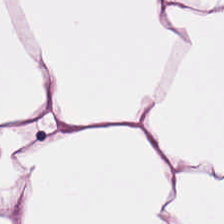Brightfield. Hematoxylin and eosin. Q: What is the predominant tissue type?
A: This is adipose tissue.
